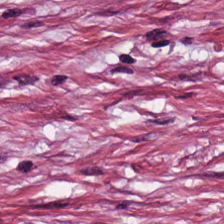FFPE tissue section. Hematoxylin and eosin. 20× equivalent magnification — Finding → cancer-associated stroma.
